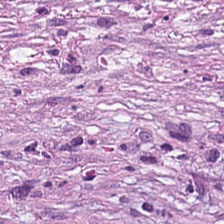Finding — desmoplastic stroma.
